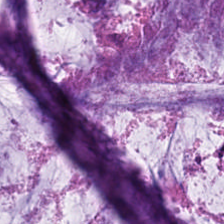FFPE · H&E stain · WSI patch — Predominantly mucus.
